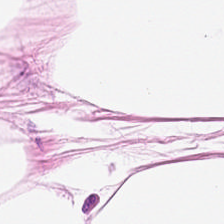This patch shows fat tissue.
